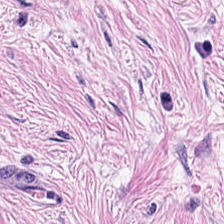Classification — desmoplastic stroma.
